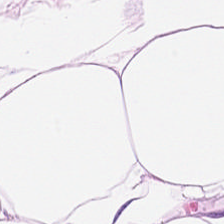Hematoxylin and eosin. FFPE. Tissue = adipocytes.
